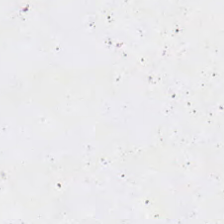Whole-slide-image patch · hematoxylin-and-eosin stained section · FFPE tissue section — This field is background (no tissue).
